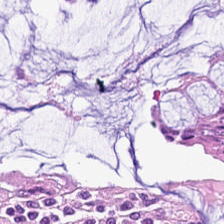0.5 µm/px. H&E stain — Q: What does this patch show?
A: The field shows benign colonic mucosa.
